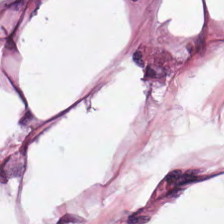Stain: H&E stain.
Acquisition: WSI patch.
Predominant tissue: adipocytes.
